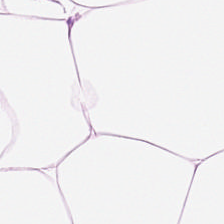H&E stain.
Adipocytes.
